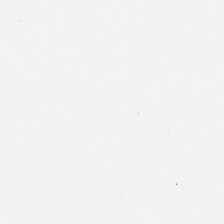FFPE. H&E-stained tissue section — The field content is background (no tissue).
